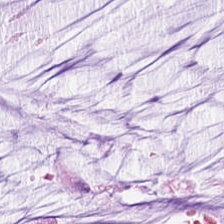Histology — mucus.
